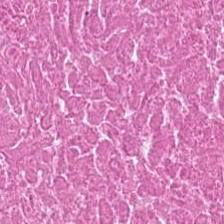Whole-slide-image patch · hematoxylin and eosin. Tissue class = cellular debris.
